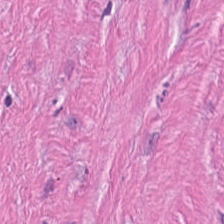224×224 pixel tile · H&E · WSI patch.
Showing tumor stroma.
